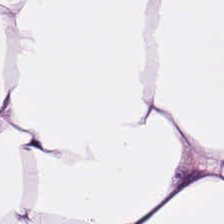FFPE; hematoxylin-and-eosin stained section; 224×224 pixel tile. Q: What tissue is shown?
A: Adipose tissue.
